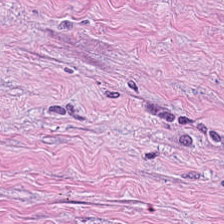Stain: hematoxylin-and-eosin stained section.
Tissue: tumor stroma.
